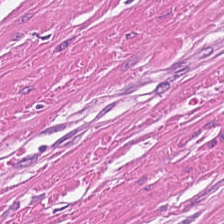H&E. Brightfield. Predominantly smooth-muscle tissue.
